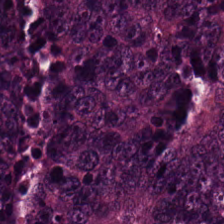Hematoxylin-and-eosin stained section.
Tissue type: colorectal adenocarcinoma.
